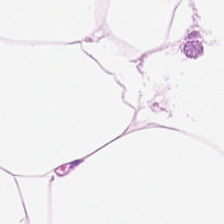H&E patch showing adipose tissue.
